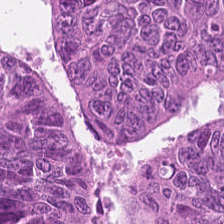Brightfield microscopy · hematoxylin and eosin · formalin-fixed paraffin-embedded section — Finding → tumor epithelium.
